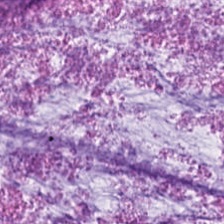20× equivalent magnification; H&E stain. Q: What tissue type is shown here?
A: The field shows mucus.
